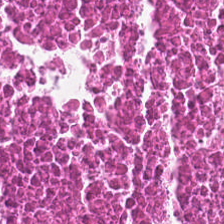H&E-stained tissue section · 224×224 px tile.
Predominantly debris.
